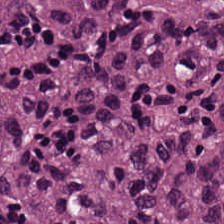Stain: H&E stain.
Predominant tissue: colorectal adenocarcinoma epithelium.
